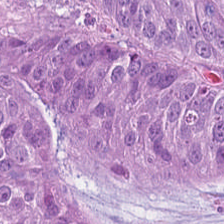H&E-stained tissue section showing malignant epithelium.
